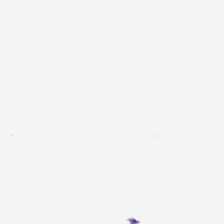Classification — empty background.
